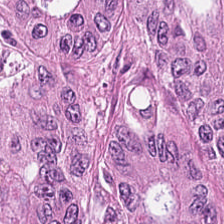H&E-stained tissue section — The predominant tissue is malignant epithelium.
